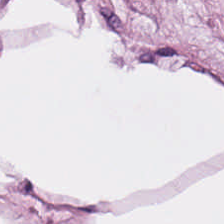H&E.
Tissue class = fat tissue.
